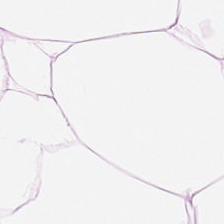The predominant tissue is adipose.
